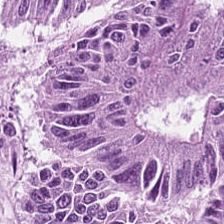0.5 microns per pixel · H&E stain. {"tissue_type": "tumor epithelium"}
